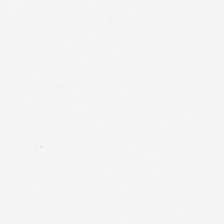H&E-stained tissue section. This field is background (no tissue).
